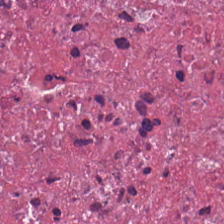224×224 px tile; WSI patch; H&E.
Tissue type = necrotic debris.
